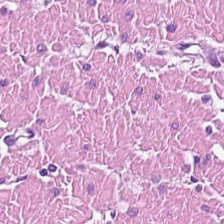H&E stain; whole-slide-image patch. This field is smooth-muscle tissue.
